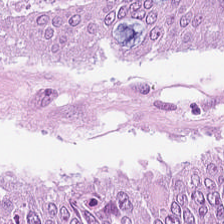H&E stain. 20× equivalent magnification. FFPE. Finding → adenocarcinoma.
